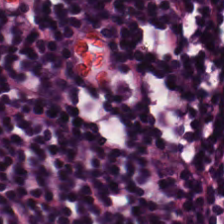H&E stain; whole-slide-image patch.
Tissue type: lymphocytic infiltrate.
